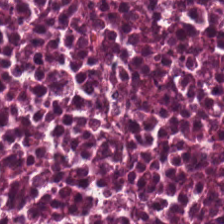224×224 px patch · H&E-stained tissue section. {"tissue_type": "debris"}
